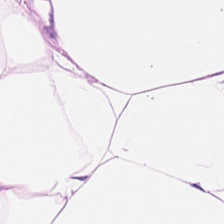Stain: hematoxylin and eosin.
Tissue class: adipocytes.
